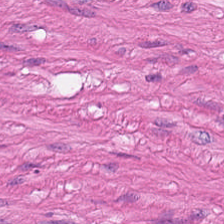Hematoxylin and eosin. Q: Classify this patch.
A: The field shows smooth-muscle tissue.
